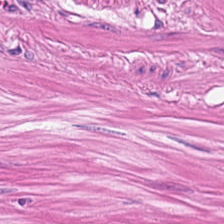H&E. 224×224 pixel tile.
This patch shows muscularis.
